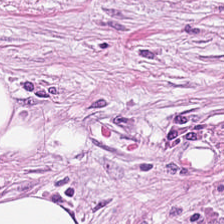Hematoxylin and eosin — Tissue class — desmoplastic stroma.
